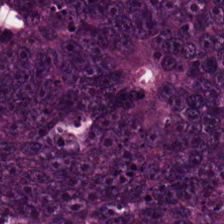Stain: hematoxylin and eosin.
Tile size: 224×224 px tile.
Tissue class: tumor epithelium.
